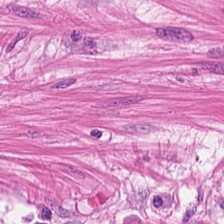Classification = smooth muscle.
